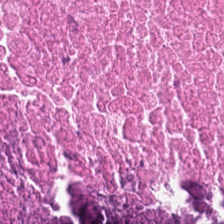H&E. Formalin-fixed paraffin-embedded section. 20× equivalent magnification. Showing cellular debris.
